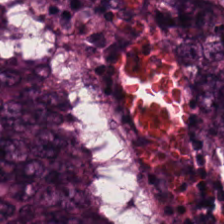H&E-stained tissue section. 0.5 µm/px — This field is tumor epithelium.
